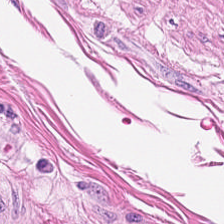The classification is muscularis.
